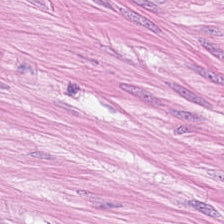Hematoxylin and eosin. 224×224 px patch. Finding → smooth muscle.
